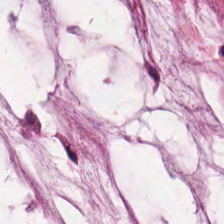Stain: hematoxylin-and-eosin stained section.
Tissue class: extracellular mucin.
